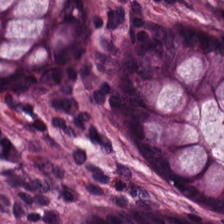Finding — normal colon mucosa.
